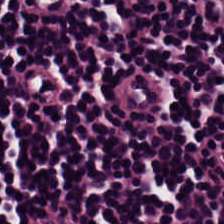Hematoxylin-and-eosin stained section. The predominant tissue is lymphoid infiltrate.
